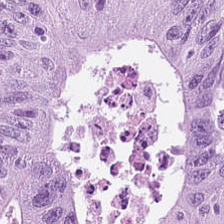Hematoxylin and eosin. 0.5 microns per pixel — Finding → colorectal adenocarcinoma epithelium.
